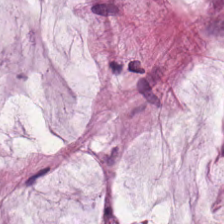FFPE tissue section; hematoxylin-and-eosin stained section; brightfield. Q: What tissue is shown?
A: The field shows extracellular mucin.
